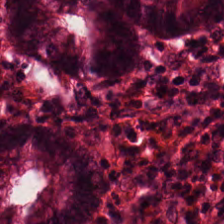H&E stain · 0.5 microns per pixel. {"tissue_type": "normal colonic mucosa"}
